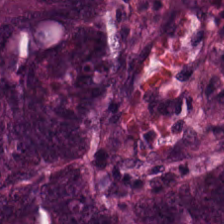Hematoxylin and eosin — The tissue class is tumor epithelium.
